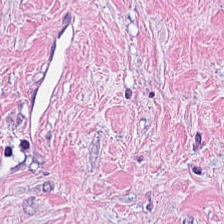224×224 px tile. 0.5 microns per pixel. H&E stain. Predominantly desmoplastic stroma.
